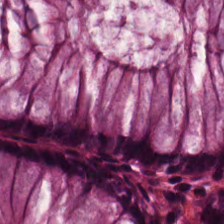Hematoxylin-and-eosin stained section. This field is benign colonic mucosa.
